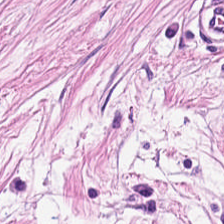Tissue type: tumor-associated stroma.
